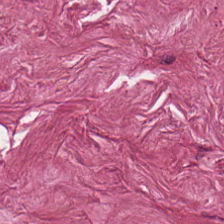Stain: H&E-stained tissue section.
Acquisition: whole-slide-image patch.
Tile size: 224×224 px patch.
Classification: tumor stroma.
